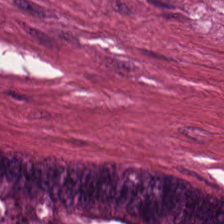Hematoxylin-and-eosin stained section.
Q: Identify the tissue.
A: Colorectal adenocarcinoma epithelium.
